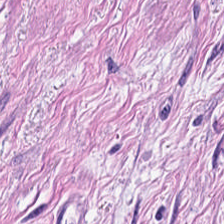Q: What is shown in this field?
A: This is muscularis.
